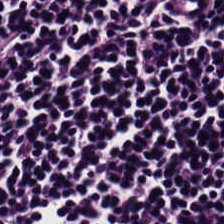Hematoxylin-and-eosin stained section.
Classification — lymphocytic infiltrate.
